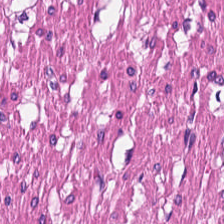Hematoxylin-and-eosin stained section — Histology — smooth-muscle tissue.
